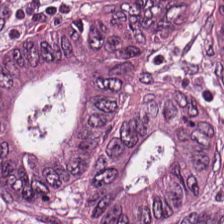Hematoxylin and eosin. Classification — tumor epithelium.
